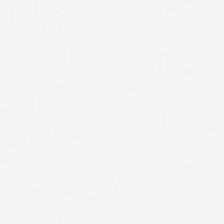Q: What is shown in this field?
A: The field shows empty background.
